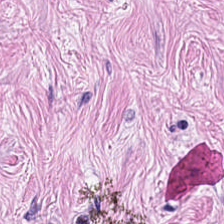224×224 pixel tile · hematoxylin-and-eosin stained section. {"tissue_type": "cancer-associated stroma"}
